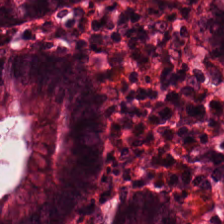Hematoxylin and eosin · 0.5 microns per pixel. Q: What type of tissue is this?
A: This is benign colonic mucosa.
